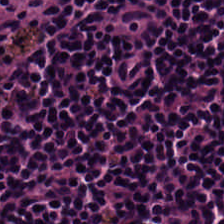Stain: hematoxylin and eosin.
Acquisition: brightfield microscopy.
Predominant tissue: lymphocytes.
